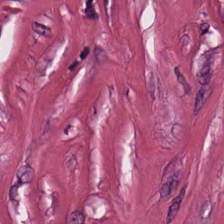Hematoxylin and eosin · formalin-fixed paraffin-embedded section. Impression → desmoplastic stroma.
